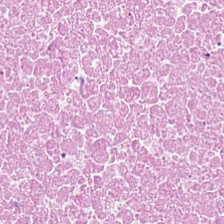0.5 microns per pixel. H&E stain — Tissue class: cellular debris.
